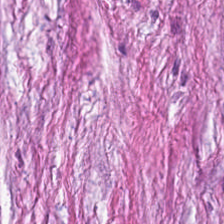Stain: H&E stain.
Tile size: 224×224 px patch.
Classification: cancer-associated stroma.
